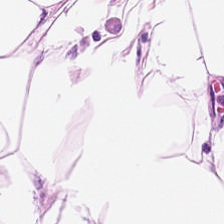{"tissue_type": "fat tissue"}
